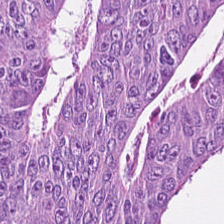Tissue = tumor epithelium.
